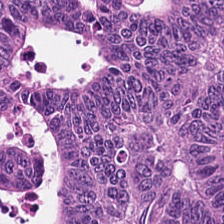FFPE tissue section; H&E.
Predominantly tumor epithelium.
